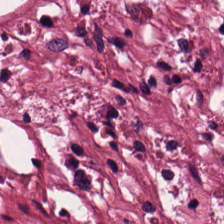H&E-stained tissue section.
The predominant tissue is cancer-associated stroma.
